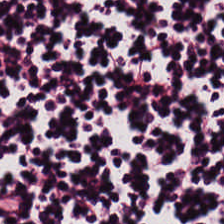Hematoxylin-and-eosin stained section; brightfield microscopy; FFPE.
Q: What is shown here?
A: The field shows lymphocytic infiltrate.
